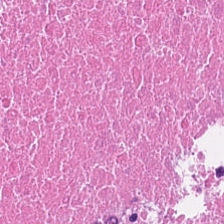Hematoxylin-and-eosin stained section. The tissue type is debris.
